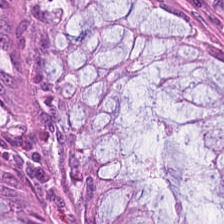20× equivalent magnification; H&E.
The tissue class is normal colonic mucosa.
